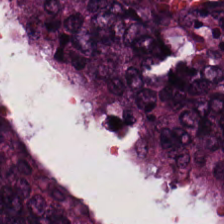Hematoxylin-and-eosin stained section — The tissue here is adenocarcinoma.
